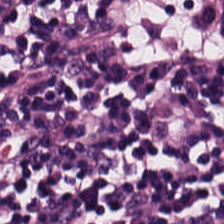Impression → lymphocytes.
